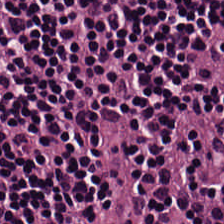The tissue type is lymphocytes.
